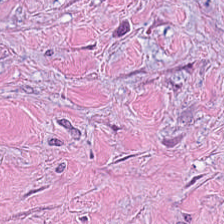Hematoxylin-and-eosin stained section.
Predominantly tumor-associated stroma.
